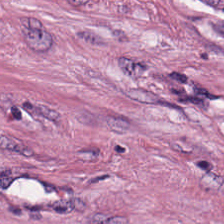H&E-stained tissue section. Classification = tumor stroma.
